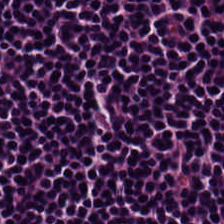224×224 px tile. Hematoxylin and eosin — Q: What is shown here?
A: The field shows lymphoid infiltrate.
